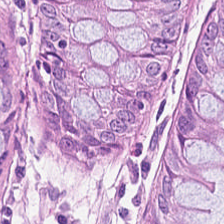Hematoxylin-and-eosin stained section — Q: Classify this patch.
A: Normal colon mucosa.
